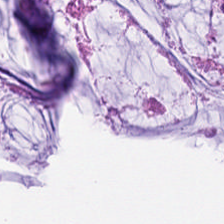20× equivalent magnification; hematoxylin-and-eosin stained section; whole-slide-image patch. Impression → extracellular mucin.
